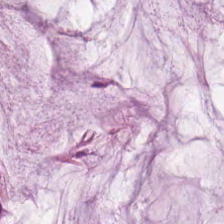H&E-stained tissue section. The predominant tissue is extracellular mucin.
